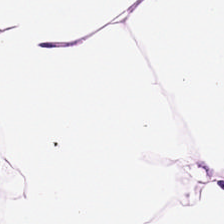Hematoxylin-and-eosin stained section. This field is adipose tissue.
